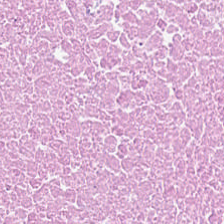H&E stain; whole-slide-image patch. Tissue type = cellular debris.
